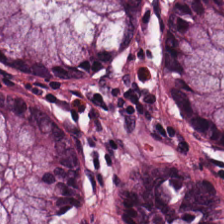Stain: H&E-stained tissue section.
Classification: non-neoplastic colon mucosa.
